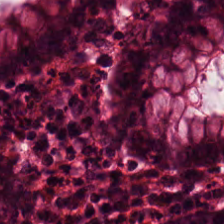Hematoxylin-and-eosin stained section; FFPE tissue section.
Q: Classify this patch.
A: Normal colonic mucosa.
